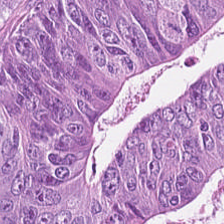This field is tumor epithelium.
